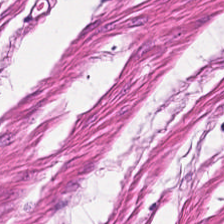20× equivalent magnification · whole-slide-image patch · hematoxylin and eosin.
Q: What is shown in this field?
A: This is muscularis.
